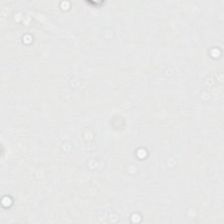Hematoxylin and eosin — No tissue present; background only.
